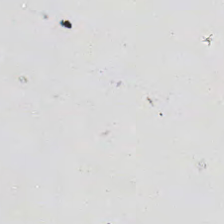Hematoxylin and eosin.
Classification — background (no tissue).
